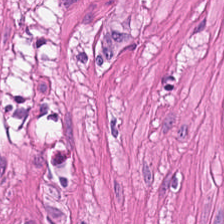Hematoxylin-and-eosin section: muscularis.
